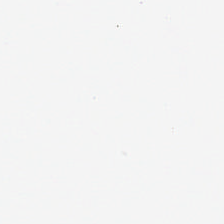H&E-stained tissue section. Background (no tissue).
